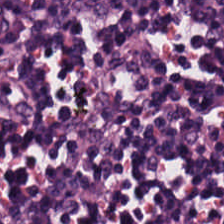H&E patch showing lymphocytes.
